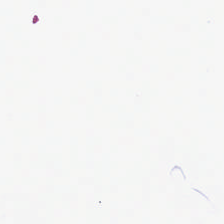Brightfield microscopy · hematoxylin-and-eosin stained section.
The field content is no tissue.
